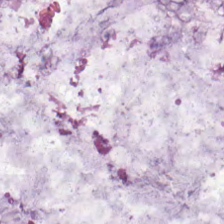Stain: hematoxylin-and-eosin stained section.
Classification: mucin.
